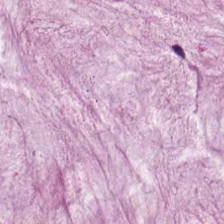Hematoxylin-and-eosin stained section — {"tissue_type": "mucus"}
